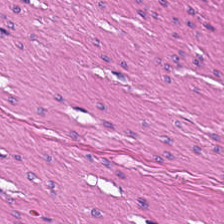224×224 pixel tile; H&E-stained tissue section — {"tissue_type": "smooth muscle"}
